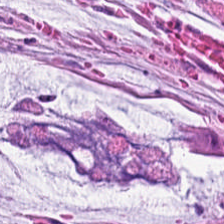Stain: hematoxylin and eosin.
Tile size: 224×224 px tile.
Tissue: mucin.
